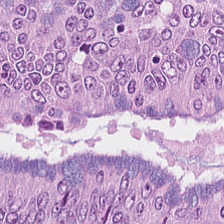224×224 pixel tile; hematoxylin and eosin. This patch shows adenocarcinoma.
